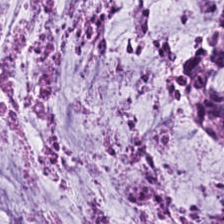Hematoxylin-and-eosin stained section. FFPE tissue section. 224×224 pixel tile.
This patch shows mucus.
